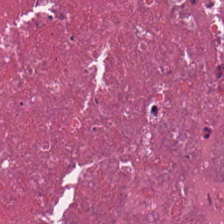Hematoxylin-and-eosin section: necrotic debris.
